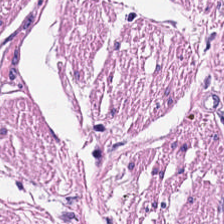Brightfield microscopy; H&E-stained tissue section. Histology — smooth-muscle tissue.
